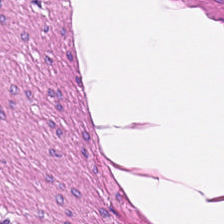H&E stain.
Showing smooth muscle.
